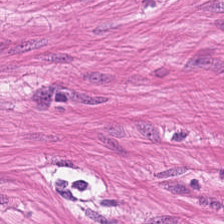Stain: H&E stain.
Tissue class: smooth-muscle tissue.
